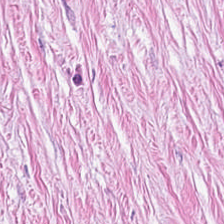Hematoxylin and eosin.
Tissue type: desmoplastic stroma.
